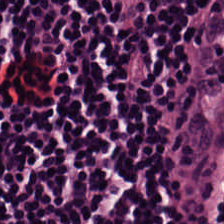H&E; 224×224 px patch; 0.5 microns per pixel — This field is lymphocyte aggregate.
